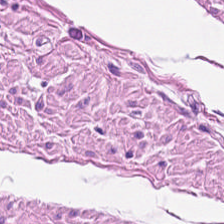Hematoxylin and eosin.
This field is smooth-muscle tissue.
